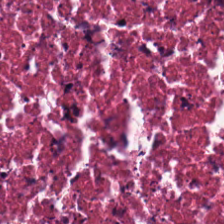Stain: H&E stain.
Preparation: formalin-fixed paraffin-embedded section.
Tissue type: cellular debris.
